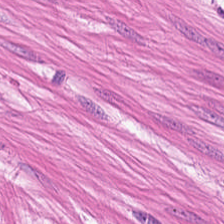H&E stain. {"tissue_type": "muscularis"}
